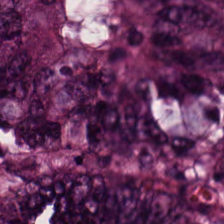Histology → malignant epithelium.
